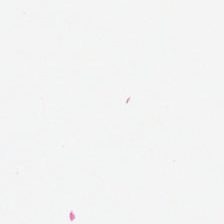224×224 px patch. Hematoxylin-and-eosin stained section. Classification = no tissue.
